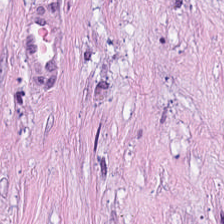Hematoxylin and eosin — Desmoplastic stroma.
